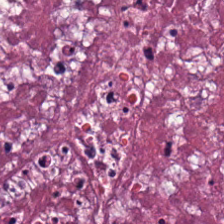Hematoxylin-and-eosin stained section — The tissue here is debris.
